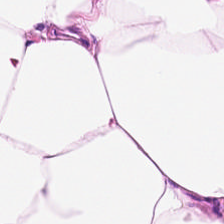Q: What does this patch show?
A: The field shows adipocytes.
